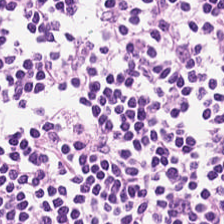Hematoxylin and eosin. Formalin-fixed paraffin-embedded section. The predominant tissue is lymphocytes.
